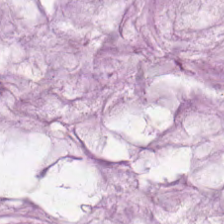Q: What tissue type is shown here?
A: Mucin.
